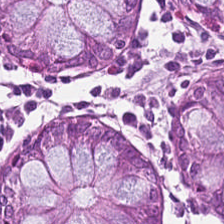Hematoxylin-and-eosin stained section — The tissue type is normal colonic mucosa.
